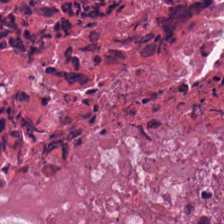Hematoxylin and eosin. Brightfield microscopy. 224×224 px tile. The tissue here is necrotic debris.
